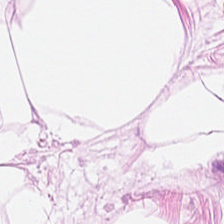Hematoxylin-and-eosin stained section · 224×224 pixel tile. Predominantly fat tissue.
